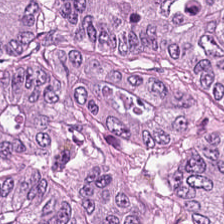H&E stain · 0.5 µm per pixel — {"tissue_type": "malignant epithelium"}
